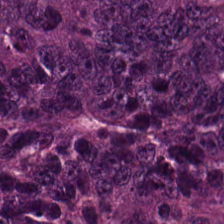H&E-stained tissue section.
Q: Classify this patch.
A: This is adenocarcinoma.
